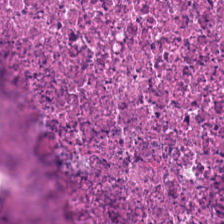H&E — cellular debris.
